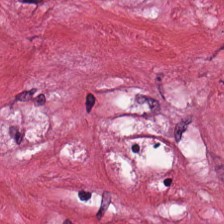Brightfield · H&E.
Impression → desmoplastic stroma.
